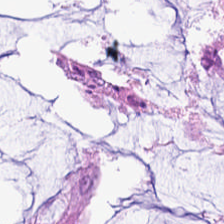Stain: H&E-stained tissue section.
Tissue class: normal colon mucosa.
